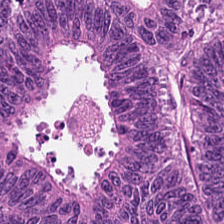Tissue type = adenocarcinoma.
